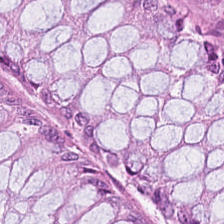H&E-stained tissue section — Impression → normal colon mucosa.
